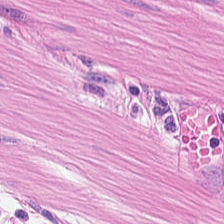Hematoxylin and eosin — Predominant tissue — smooth-muscle tissue.
